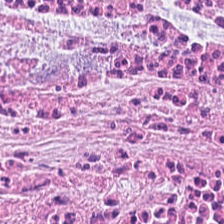Hematoxylin-and-eosin stained section. 0.5 microns per pixel — Showing tumor stroma.
